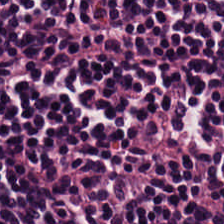Brightfield microscopy; H&E.
Showing lymphocytes.
